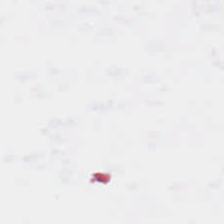Stain: H&E stain.
Content: empty background.
